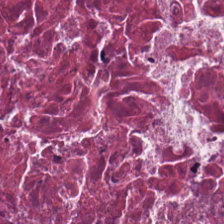Hematoxylin-and-eosin stained section — Tissue type — debris.
